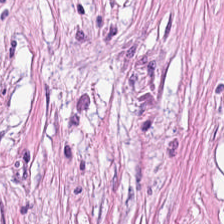0.5 µm/px; WSI patch; hematoxylin-and-eosin stained section.
Q: What tissue is shown?
A: It is cancer-associated stroma.
